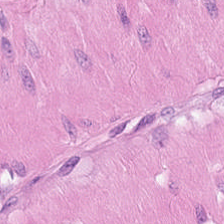Q: What is shown here?
A: The field shows smooth-muscle tissue.
